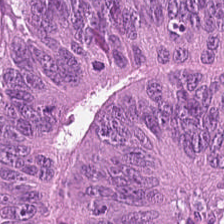H&E stain — The tissue type is adenocarcinoma.
